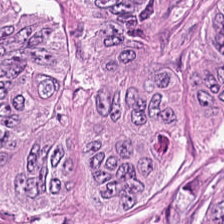Stain: H&E stain.
Acquisition: brightfield microscopy.
Preparation: FFPE.
Predominant tissue: colorectal adenocarcinoma epithelium.
